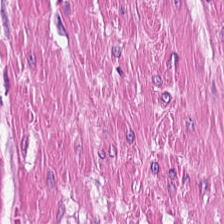H&E — smooth-muscle tissue.
